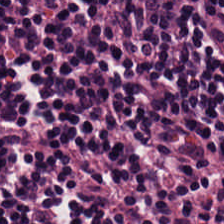Stain: hematoxylin and eosin.
Preparation: FFPE tissue section.
Tissue class: lymphocyte aggregate.
